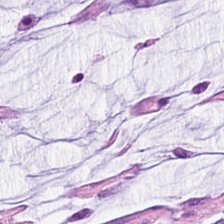Hematoxylin and eosin. This patch shows extracellular mucin.
